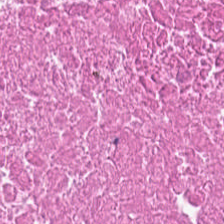H&E-stained tissue section.
The tissue class is cellular debris.
